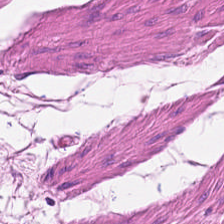FFPE. H&E stain — This patch shows smooth-muscle tissue.
